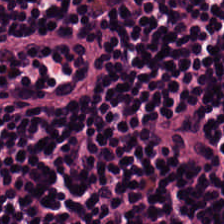Whole-slide-image patch; hematoxylin and eosin. Showing lymphocytic infiltrate.
